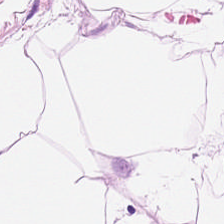224×224 pixel tile · H&E. This field is fat tissue.
